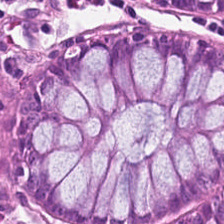Hematoxylin and eosin — Predominantly benign colonic mucosa.
